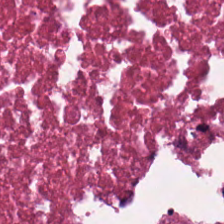Hematoxylin and eosin. 224×224 pixel tile. Q: What is the predominant tissue type?
A: This is cellular debris.
